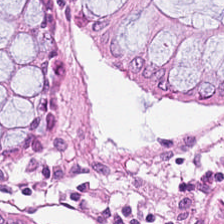H&E stain · 0.5 microns per pixel. The predominant tissue is benign colonic mucosa.
